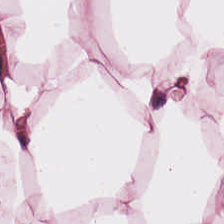Stain: H&E-stained tissue section.
Tile size: 224×224 pixel tile.
Tissue: adipose.
